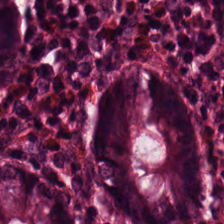224×224 px tile; 0.5 µm per pixel; hematoxylin and eosin.
Finding — benign colonic mucosa.
